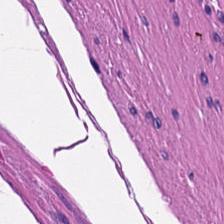H&E-stained tissue section; FFPE; 0.5 µm/px. Showing smooth muscle.
